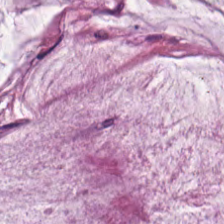Q: What tissue type is shown here?
A: The field shows mucin.
